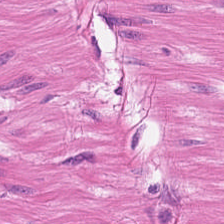Stain: hematoxylin-and-eosin stained section.
Tissue class: muscularis.
